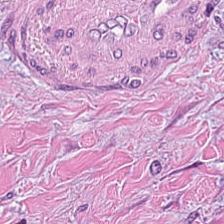Histology — cancer-associated stroma.
